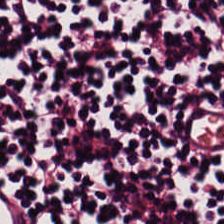H&E stain — Lymphoid infiltrate.
